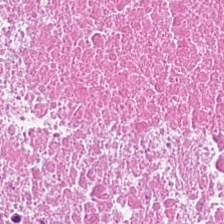0.5 µm per pixel; hematoxylin-and-eosin stained section.
This patch shows necrotic debris.
